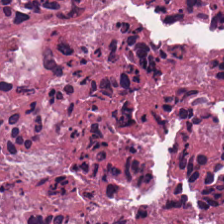H&E stain — Tissue: debris.
